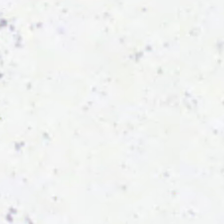224×224 px patch; H&E-stained tissue section. Impression — no tissue.
